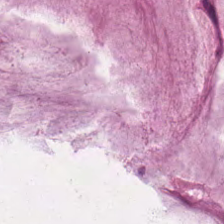Hematoxylin-and-eosin stained section.
The tissue here is extracellular mucin.
